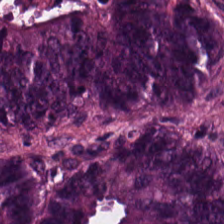224×224 pixel tile · H&E-stained tissue section — The tissue here is tumor epithelium.
